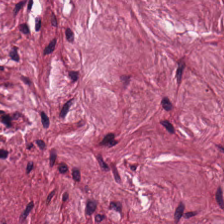Stain: hematoxylin-and-eosin stained section.
Tissue type: tumor-associated stroma.
